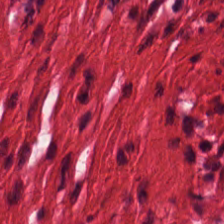Showing smooth muscle.
